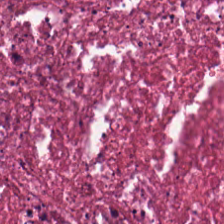H&E.
This field is necrotic debris.
